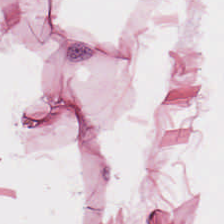The predominant tissue is adipose tissue.
